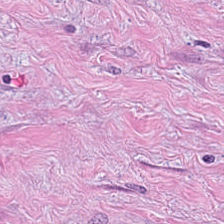0.5 microns per pixel; hematoxylin-and-eosin stained section.
The tissue class is cancer-associated stroma.
